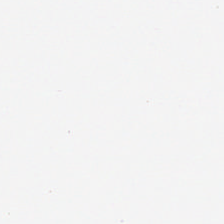Whole-slide-image patch · H&E stain · formalin-fixed paraffin-embedded section — No tissue.
